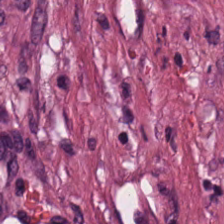224×224 px tile; H&E-stained tissue section.
Q: What type of tissue is this?
A: This is cancer-associated stroma.
